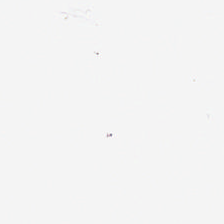FFPE tissue section; H&E; 0.5 µm/px. {"content": "no tissue"}
